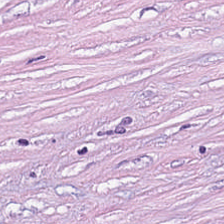Tissue type = cancer-associated stroma.
